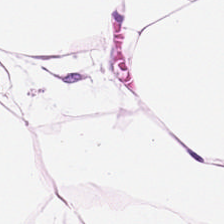224×224 px tile · H&E stain. Tissue type: adipocytes.
